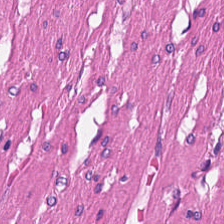Brightfield microscopy; 0.5 microns per pixel; hematoxylin and eosin. Finding → smooth-muscle tissue.
